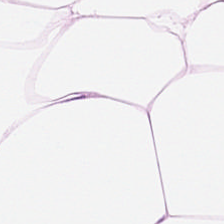Hematoxylin-and-eosin stained section.
Histology — adipose tissue.
